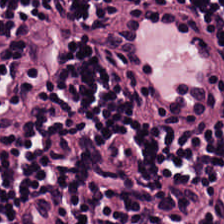H&E stain. This field is lymphoid infiltrate.
